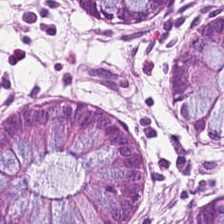H&E.
The predominant tissue is normal colon mucosa.
